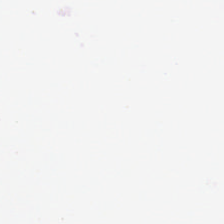H&E stain.
No tissue.
